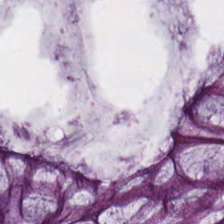Hematoxylin-and-eosin stained section — Showing normal colon mucosa.
